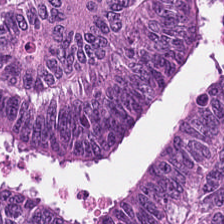Hematoxylin-and-eosin stained section. Tissue type: colorectal adenocarcinoma epithelium.
